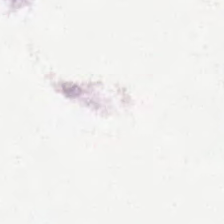H&E-stained tissue section; brightfield microscopy. Q: What is shown in this field?
A: It is no tissue.
